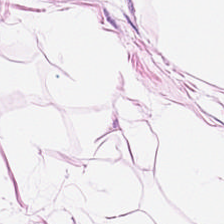H&E stain.
Tissue type: adipocytes.
